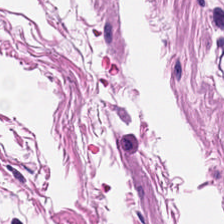Hematoxylin-and-eosin stained section. The tissue class is muscularis.
